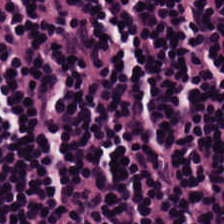H&E-stained tissue section · 0.5 µm per pixel.
Impression — lymphocyte aggregate.
